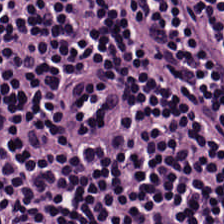H&E stain · FFPE — Lymphocytes.
